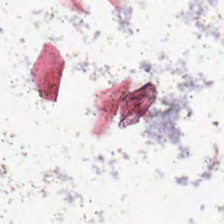No tissue present; background only.
